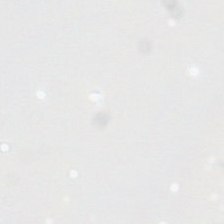Stain: H&E stain.
Classification: background (no tissue).
